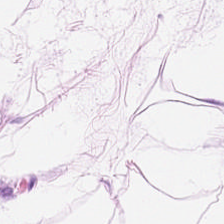Hematoxylin-and-eosin stained section.
Q: What is shown in this field?
A: It is fat tissue.
